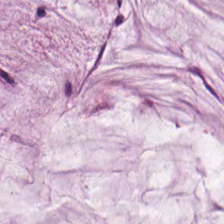Q: What tissue is shown?
A: The field shows extracellular mucin.
